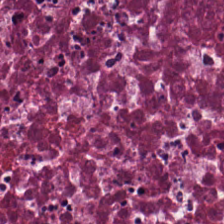H&E stain. Q: Identify the tissue.
A: It is cellular debris.
